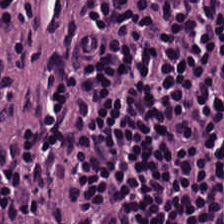{"tissue_type": "lymphocytes"}
